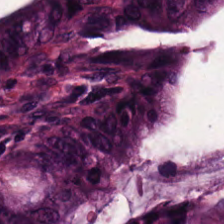224×224 px patch. H&E-stained tissue section. 0.5 µm/px. Colorectal adenocarcinoma.
